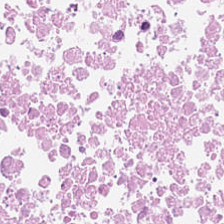H&E. FFPE tissue section. 20× equivalent magnification — Classification = debris.
